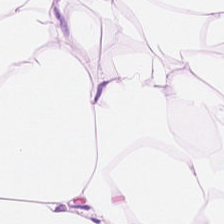224×224 px patch; hematoxylin and eosin — Showing adipose tissue.
